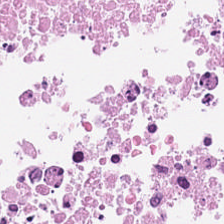H&E stain · 0.5 µm per pixel.
Predominantly necrotic debris.
